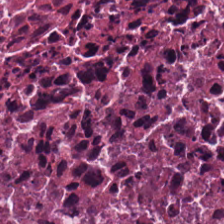0.5 µm/px. H&E.
Q: What tissue is shown?
A: The field shows debris.
